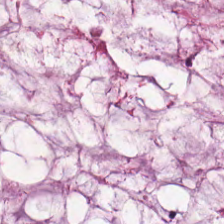Hematoxylin and eosin. FFPE. 0.5 µm/px. {"tissue_type": "mucin"}
